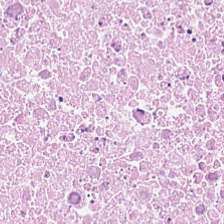H&E — Q: What tissue type is shown here?
A: The field shows necrotic debris.
